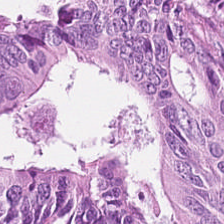0.5 µm/px; formalin-fixed paraffin-embedded section; hematoxylin-and-eosin stained section — Q: What is shown in this field?
A: It is adenocarcinoma.
